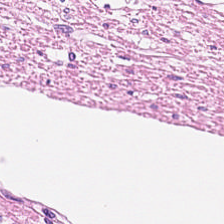Hematoxylin and eosin — This patch shows muscularis.
